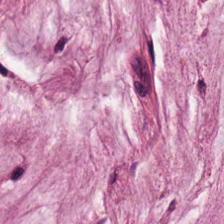0.5 µm/px; hematoxylin-and-eosin stained section. Showing extracellular mucin.
